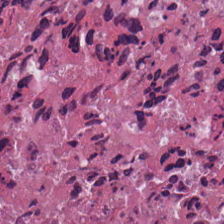224×224 pixel tile. H&E stain — Necrotic debris.
